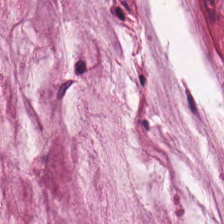Finding → mucus.
